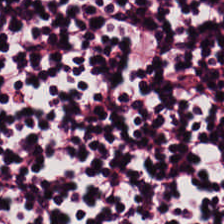H&E-stained tissue section.
Predominantly lymphocytes.
